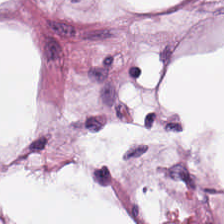H&E stain. Q: What tissue is shown?
A: Adipose.
